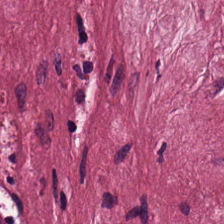H&E stain — The predominant tissue is cancer-associated stroma.
